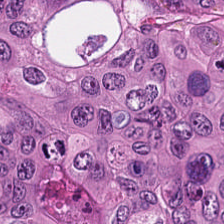Stain: H&E stain.
Preparation: FFPE.
Acquisition: brightfield.
Tissue: colorectal adenocarcinoma.
